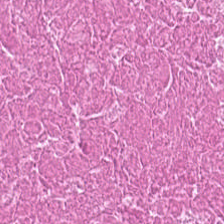H&E-stained tissue section — Cellular debris.
